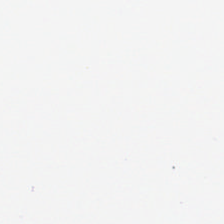Hematoxylin-and-eosin stained section — Content — background (no tissue).
